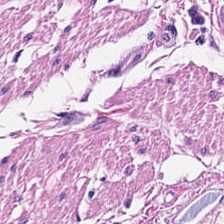Q: What tissue is shown?
A: The field shows muscularis.
